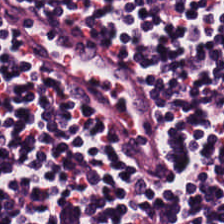0.5 microns per pixel · hematoxylin-and-eosin stained section.
Classification: lymphocytic infiltrate.
